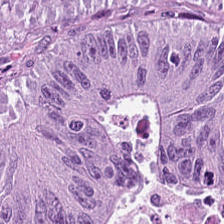Hematoxylin and eosin — Predominant tissue: adenocarcinoma.
